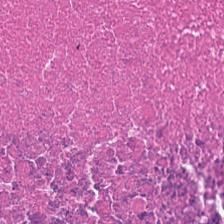H&E stain. Q: What type of tissue is this?
A: Cellular debris.
